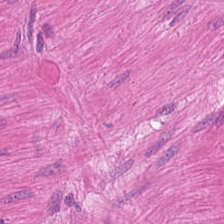WSI patch; hematoxylin and eosin; 0.5 µm/px.
Q: Identify the tissue.
A: This is smooth-muscle tissue.
